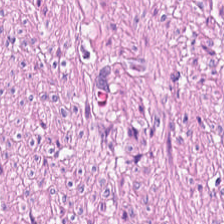H&E. Tissue class: smooth muscle.
